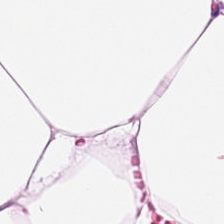Stain: hematoxylin and eosin.
Tile size: 224×224 px patch.
Classification: adipose.
